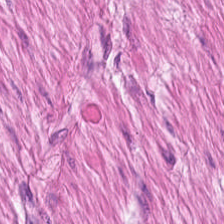H&E stain. 224×224 px patch. Formalin-fixed paraffin-embedded section.
Tissue — smooth-muscle tissue.
